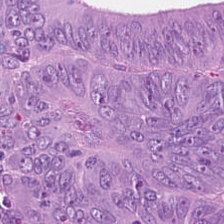H&E.
Q: What is shown here?
A: Adenocarcinoma.
